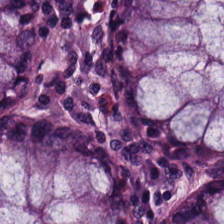20× equivalent magnification. H&E-stained tissue section.
This patch shows benign colonic mucosa.
